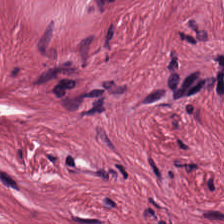H&E stain; whole-slide-image patch.
The predominant tissue is desmoplastic stroma.
